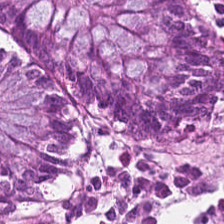H&E; 0.5 µm/px; WSI patch — Histology → benign colonic mucosa.
